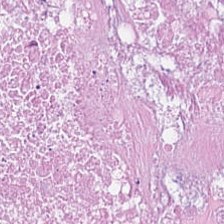224×224 px tile; H&E stain.
The classification is cellular debris.
